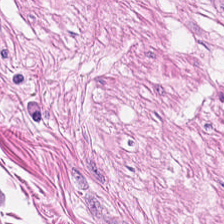Stain: hematoxylin-and-eosin stained section.
Preparation: FFPE.
Tile size: 224×224 px patch.
Tissue type: muscularis.
